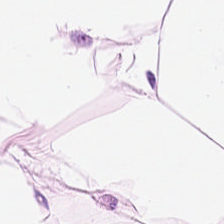H&E stain.
Histology — fat tissue.
